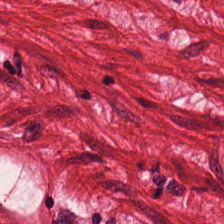H&E-stained tissue section. Smooth-muscle tissue.
